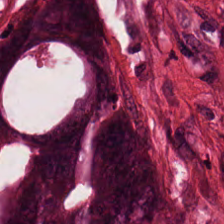Hematoxylin-and-eosin stained section; 0.5 µm/px.
The classification is colorectal adenocarcinoma epithelium.
